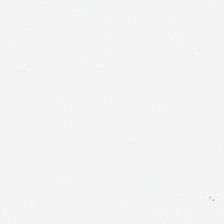Formalin-fixed paraffin-embedded section · H&E stain.
This patch shows empty background.
